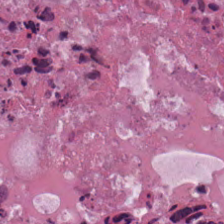Stain: hematoxylin and eosin.
Acquisition: brightfield.
Tissue class: necrotic debris.
